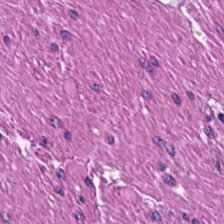H&E · formalin-fixed paraffin-embedded section · 224×224 pixel tile. Q: What is shown here?
A: The field shows smooth muscle.
